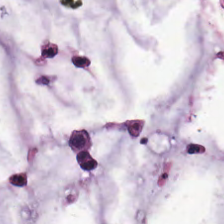H&E patch showing mucin.
